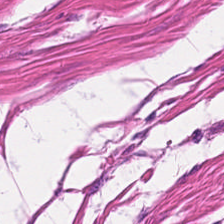H&E-stained section; the field shows smooth muscle.
